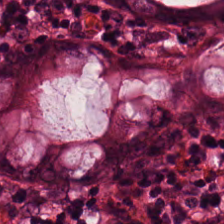Hematoxylin-and-eosin stained section. FFPE. 0.5 µm/px. Predominant tissue: benign colonic mucosa.
